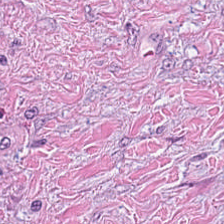Hematoxylin-and-eosin stained section — This patch shows desmoplastic stroma.
